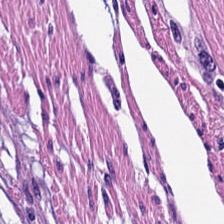Formalin-fixed paraffin-embedded section. H&E stain. 0.5 µm/px — Smooth-muscle tissue.
